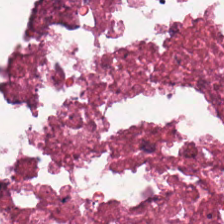Showing cellular debris.
